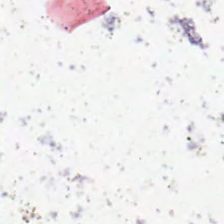224×224 px patch; hematoxylin and eosin — The content is background (no tissue).
